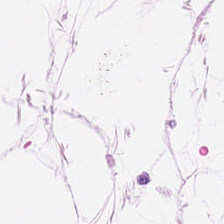0.5 microns per pixel · hematoxylin-and-eosin stained section · 224×224 pixel tile.
Showing adipose tissue.
